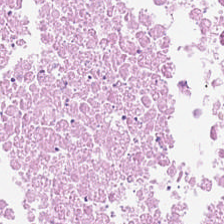Stain: H&E.
Predominant tissue: debris.
